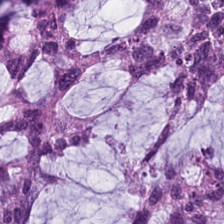H&E. The tissue type is extracellular mucin.
